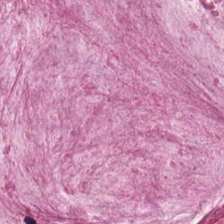FFPE. Hematoxylin and eosin. 224×224 px tile.
The tissue here is extracellular mucin.
